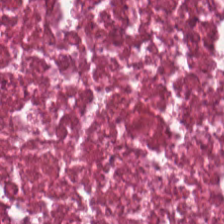H&E — The predominant tissue is cellular debris.
